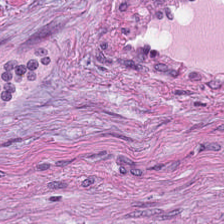WSI patch. Hematoxylin-and-eosin stained section — Showing tumor-associated stroma.
